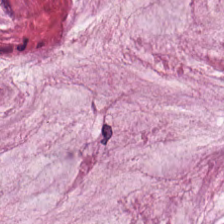Whole-slide-image patch; 0.5 µm per pixel; hematoxylin-and-eosin stained section — The predominant tissue is mucus.
